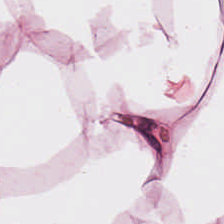Hematoxylin and eosin — Adipose tissue.
